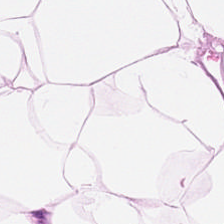The tissue here is adipose.
